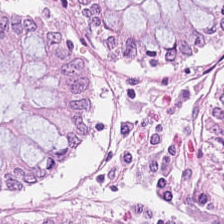224×224 pixel tile. Formalin-fixed paraffin-embedded section. Hematoxylin-and-eosin stained section.
The tissue here is non-neoplastic colon mucosa.
